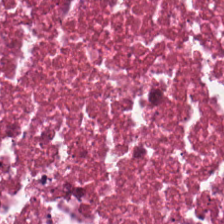WSI patch; H&E; 224×224 px patch. {"tissue_type": "debris"}
